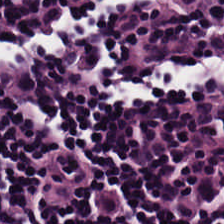H&E patch showing lymphocyte aggregate.
